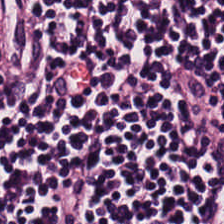H&E stain. 224×224 px patch.
This patch shows lymphocytic infiltrate.
